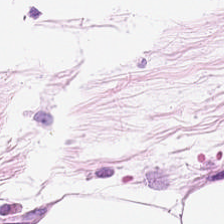WSI patch · H&E-stained tissue section. Q: What type of tissue is this?
A: The field shows adipose tissue.
